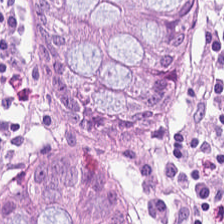FFPE tissue section · H&E — Normal colon mucosa.
